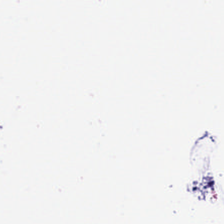WSI patch. Hematoxylin-and-eosin stained section — Classification: background (no tissue).
